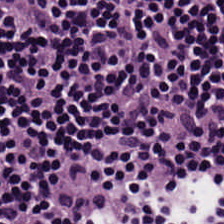Whole-slide-image patch. 20× equivalent magnification. Hematoxylin and eosin. {"tissue_type": "lymphocytes"}
